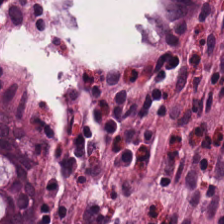H&E. The tissue class is non-neoplastic colon mucosa.
